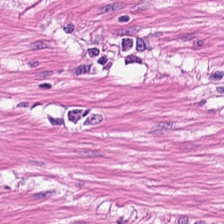Stain: H&E stain.
Preparation: FFPE.
Tile size: 224×224 px patch.
Tissue type: muscularis.
